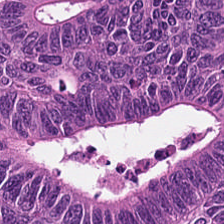Stain: hematoxylin and eosin.
Tissue: colorectal adenocarcinoma.
